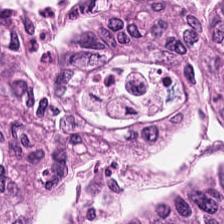WSI patch. FFPE. H&E-stained tissue section — Histology → adenocarcinoma.
